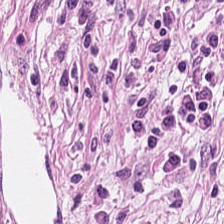WSI patch · hematoxylin and eosin. Q: What is shown here?
A: The field shows desmoplastic stroma.
